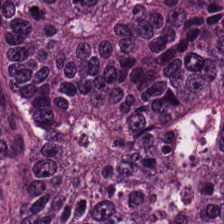WSI patch. H&E stain.
The tissue type is colorectal adenocarcinoma.
